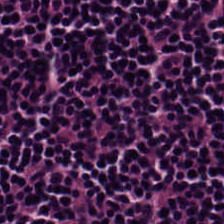Hematoxylin-and-eosin stained section — The predominant tissue is lymphocytic infiltrate.
